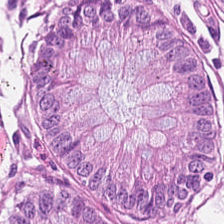224×224 px tile. H&E stain — Normal colonic mucosa.
